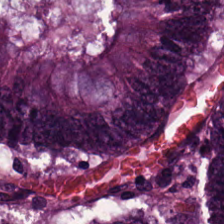H&E — Showing adenocarcinoma.
